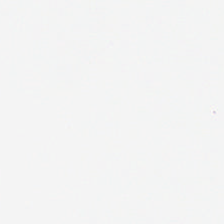Background — no tissue in this field.
